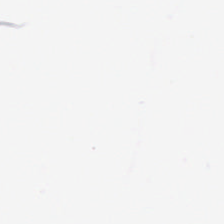Hematoxylin-and-eosin stained section. FFPE tissue section.
Empty background.
